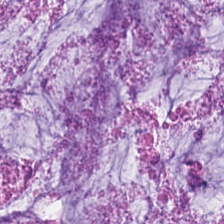20× equivalent magnification. Hematoxylin-and-eosin stained section.
This patch shows mucin.
